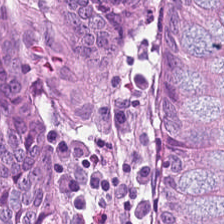Hematoxylin-and-eosin stained section; FFPE tissue section. Tissue class = normal colon mucosa.
